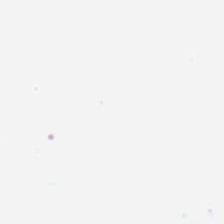Hematoxylin and eosin.
Q: What is shown here?
A: It is empty background.
